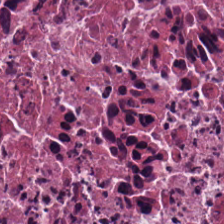Hematoxylin-and-eosin stained section · 0.5 µm/px · WSI patch. Predominantly cellular debris.
